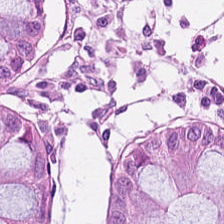Q: What is the predominant tissue type?
A: Non-neoplastic colon mucosa.
